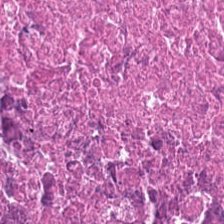H&E-stained tissue section. 224×224 px patch. FFPE — {"tissue_type": "necrotic debris"}
